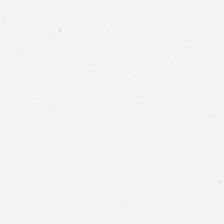Formalin-fixed paraffin-embedded section. H&E stain. Background — no tissue in this field.
